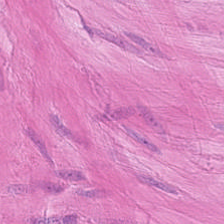Hematoxylin and eosin — Predominantly smooth-muscle tissue.
